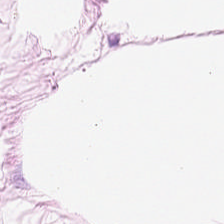This patch shows adipocytes.
